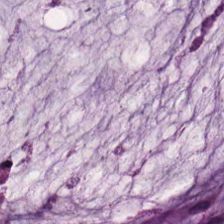FFPE tissue section; H&E-stained tissue section. Classification — extracellular mucin.
